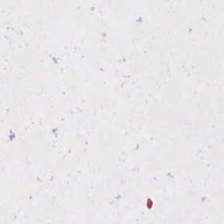Hematoxylin-and-eosin stained section — Q: Classify this patch.
A: Empty background.
